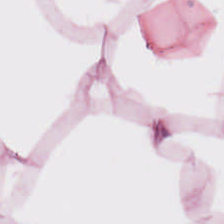Hematoxylin-and-eosin stained section — Predominantly fat tissue.
